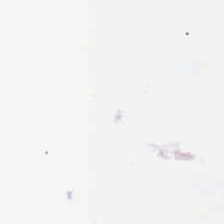H&E-stained tissue section — This patch shows background (no tissue).
